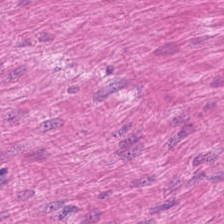Brightfield · H&E stain.
Tissue class = smooth-muscle tissue.
